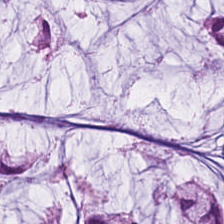{"tissue_type": "mucus"}
